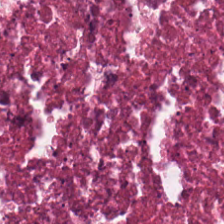Hematoxylin-and-eosin stained section — Finding — necrotic debris.
